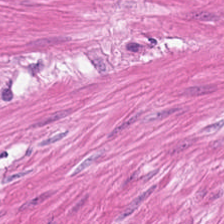Stain: hematoxylin-and-eosin stained section.
Predominant tissue: smooth muscle.
